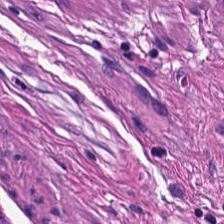Hematoxylin-and-eosin section: muscularis.
